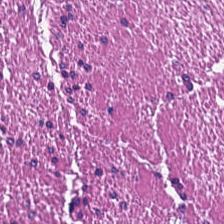Predominantly muscularis.
